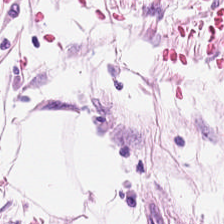H&E-stained tissue section · formalin-fixed paraffin-embedded section.
Showing adipocytes.
